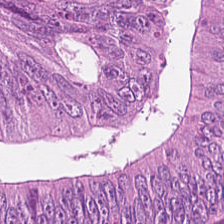0.5 microns per pixel. H&E. Q: Identify the tissue.
A: The field shows colorectal adenocarcinoma epithelium.
